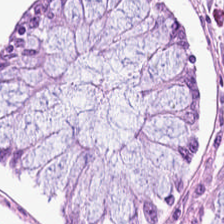Stain: H&E stain.
Preparation: formalin-fixed paraffin-embedded section.
Predominant tissue: normal colon mucosa.
